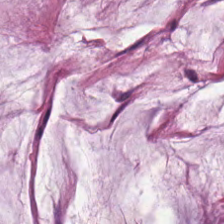Hematoxylin-and-eosin stained section; 224×224 px tile.
The predominant tissue is extracellular mucin.
